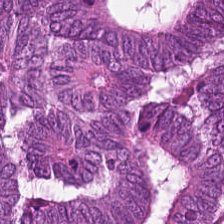The classification is colorectal adenocarcinoma epithelium.
